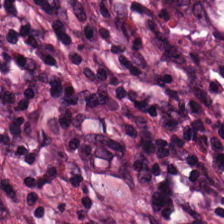Whole-slide-image patch; H&E.
Tissue type = tumor-associated stroma.
